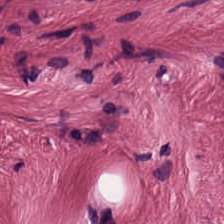FFPE; hematoxylin and eosin — Q: What does this patch show?
A: This is tumor stroma.
